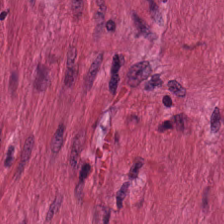H&E patch showing muscularis.
